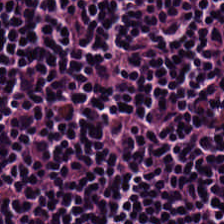Stain: H&E-stained tissue section.
Tissue type: lymphoid infiltrate.
